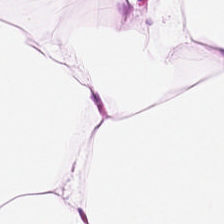Classification = adipocytes.
